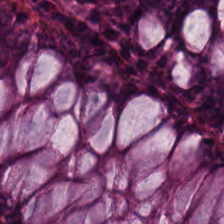Stain: H&E stain.
Tissue: benign colonic mucosa.
